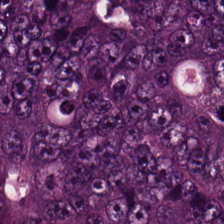Finding — tumor epithelium.
